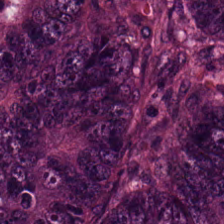H&E-stained tissue section — Showing tumor epithelium.
